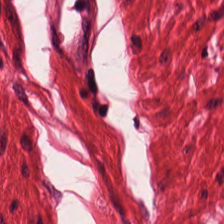Stain: H&E stain.
Tissue class: smooth muscle.
